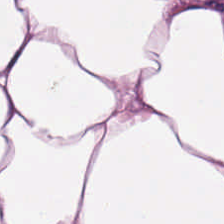H&E stain. Adipose tissue.
